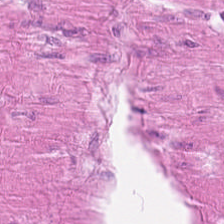H&E; 224×224 px tile.
Tissue = smooth muscle.
